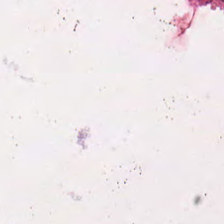Formalin-fixed paraffin-embedded section. H&E stain.
This patch shows cellular debris.
